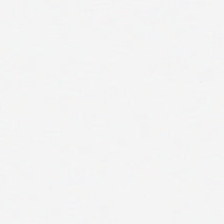Hematoxylin and eosin · 20× equivalent magnification.
Content = background (no tissue).
